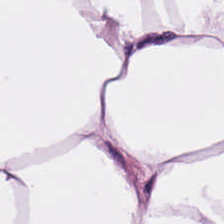Hematoxylin-and-eosin stained section. 0.5 µm/px.
{"tissue_type": "fat tissue"}
